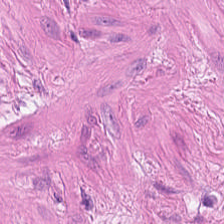Hematoxylin-and-eosin stained section. Whole-slide-image patch. FFPE tissue section. Tissue — smooth-muscle tissue.
